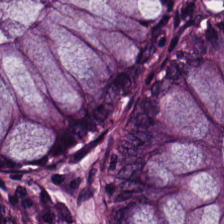H&E.
The tissue here is non-neoplastic colon mucosa.
